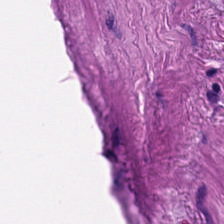Hematoxylin and eosin · brightfield microscopy — Smooth muscle.
